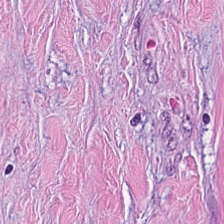FFPE tissue section · H&E-stained tissue section · 0.5 µm per pixel — This patch shows tumor stroma.
